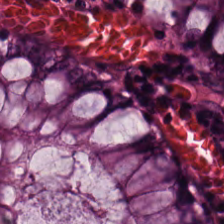Hematoxylin and eosin. This patch shows benign colonic mucosa.
